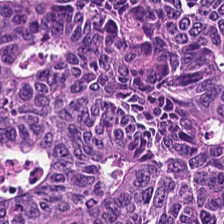H&E — Q: What tissue is shown?
A: The field shows colorectal adenocarcinoma epithelium.
